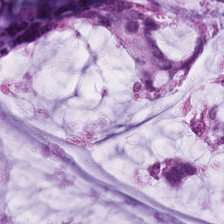H&E — Showing extracellular mucin.
